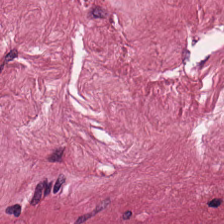Hematoxylin and eosin · formalin-fixed paraffin-embedded section.
Predominantly tumor-associated stroma.
